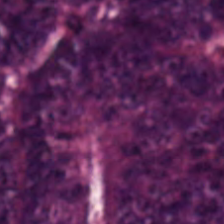Stain: hematoxylin-and-eosin stained section.
Tile size: 224×224 px tile.
Resolution: 20× equivalent magnification.
Tissue class: colorectal adenocarcinoma epithelium.
